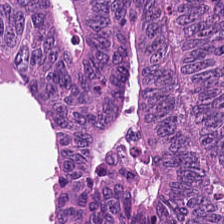Classification — colorectal adenocarcinoma epithelium.
